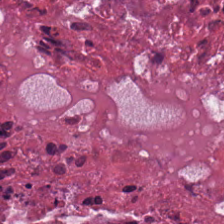Stain: hematoxylin-and-eosin stained section.
Resolution: 0.5 µm per pixel.
Predominant tissue: necrotic debris.
